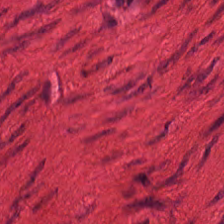WSI patch. H&E-stained tissue section — Tissue = smooth muscle.
